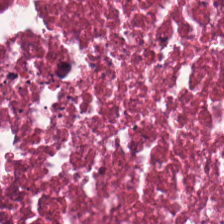Hematoxylin and eosin. Q: What is shown in this field?
A: The field shows debris.
